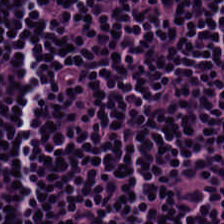WSI patch; hematoxylin and eosin; 0.5 µm/px — This field is lymphocyte aggregate.
